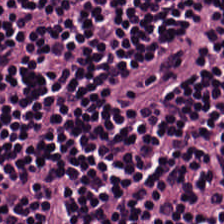FFPE · 224×224 pixel tile · H&E-stained tissue section — Showing lymphocytes.
